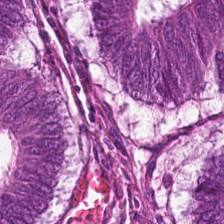Hematoxylin-and-eosin stained section — Predominant tissue: tumor epithelium.
